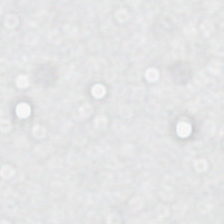Formalin-fixed paraffin-embedded section · 0.5 µm per pixel · H&E stain.
Q: What is shown here?
A: This is background (no tissue).
